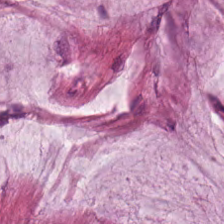Hematoxylin-and-eosin stained section.
Showing extracellular mucin.
